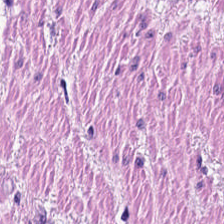H&E-stained tissue section — This patch shows smooth muscle.
